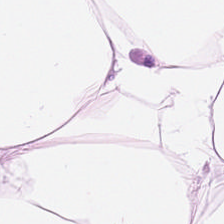Finding — adipose.
